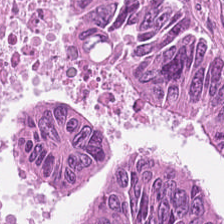H&E stain · 224×224 px tile · FFPE — The tissue class is colorectal adenocarcinoma epithelium.
